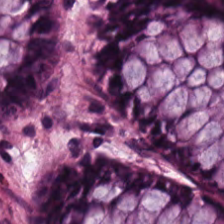Formalin-fixed paraffin-embedded section; brightfield microscopy; hematoxylin and eosin. The predominant tissue is benign colonic mucosa.
